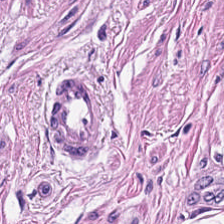H&E.
{"tissue_type": "muscularis"}
